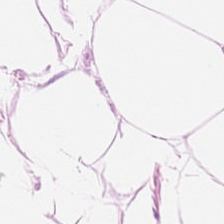Classification = adipose.
